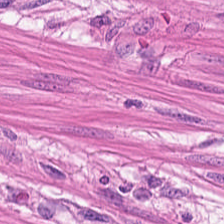H&E stain.
Histology → smooth muscle.
